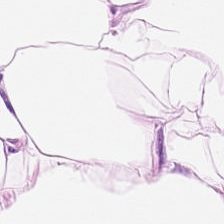Showing adipocytes.
